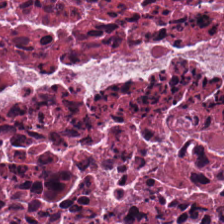FFPE tissue section. Hematoxylin-and-eosin stained section. 20× equivalent magnification.
Predominantly debris.
